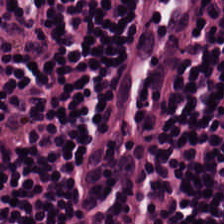Hematoxylin and eosin. The tissue here is lymphoid infiltrate.
